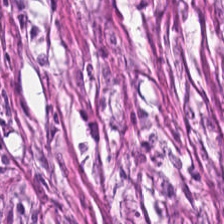H&E.
Tissue class = tumor stroma.
